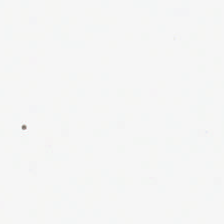H&E stain. FFPE. Whole-slide-image patch. Empty field — empty background.
